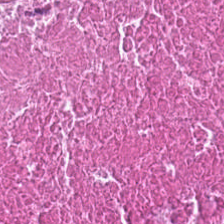H&E. Brightfield — Tissue — cellular debris.
